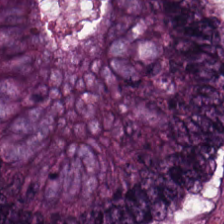H&E stain; WSI patch. The tissue here is adenocarcinoma.
